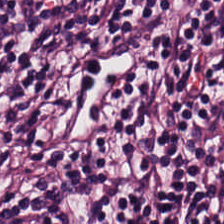H&E stain — {"tissue_type": "lymphocyte aggregate"}
